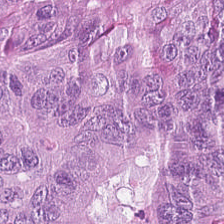Stain: hematoxylin and eosin.
Tissue class: colorectal adenocarcinoma.
